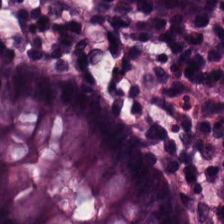The classification is normal colonic mucosa.
